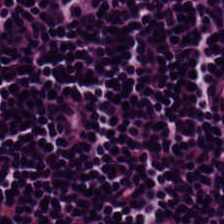WSI patch · H&E-stained tissue section · 0.5 microns per pixel.
The predominant tissue is lymphocyte aggregate.
